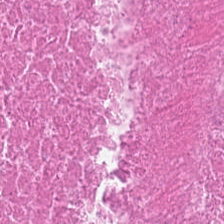Hematoxylin and eosin.
The tissue here is necrotic debris.
